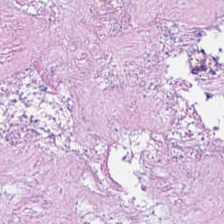Brightfield microscopy. H&E stain — Predominantly cellular debris.
